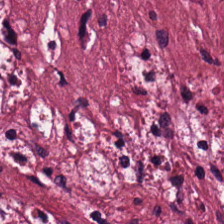Q: What does this patch show?
A: This is tumor-associated stroma.
